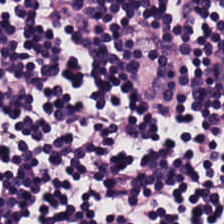Hematoxylin and eosin. 0.5 µm per pixel. Q: Classify this patch.
A: This is lymphocytes.
